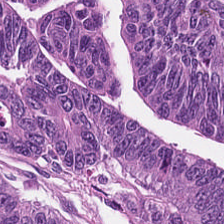Hematoxylin and eosin.
Colorectal adenocarcinoma epithelium.
